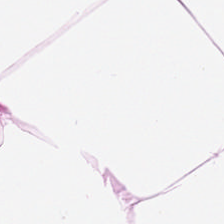H&E stain.
Predominantly adipose.
